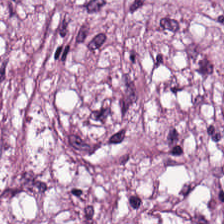224×224 px tile · hematoxylin and eosin.
Q: What does this patch show?
A: Desmoplastic stroma.
